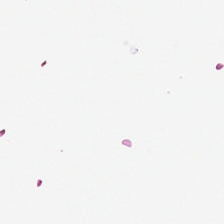Hematoxylin-and-eosin stained section.
Classification — no tissue.
